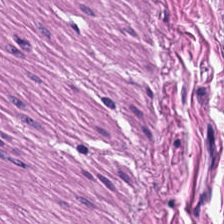H&E stain; 0.5 µm per pixel.
Histology — smooth muscle.
